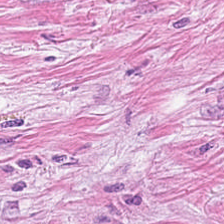Hematoxylin-and-eosin stained section.
Tumor stroma.
